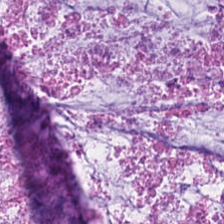Q: Classify this patch.
A: Mucin.
